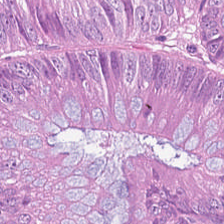Hematoxylin-and-eosin section: colorectal adenocarcinoma.
